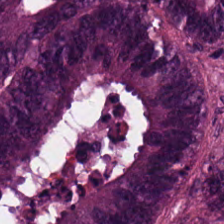{"tissue_type": "adenocarcinoma"}
